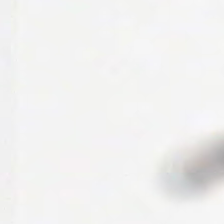H&E stain. This field is background (no tissue).
